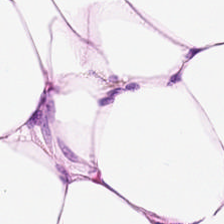224×224 px tile · H&E stain · 0.5 microns per pixel — This field is fat tissue.
